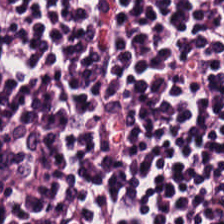Stain: H&E.
Tissue class: lymphoid infiltrate.
